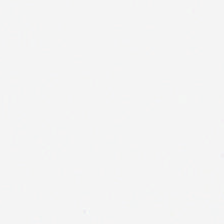Stain: H&E stain.
Classification: empty background.
